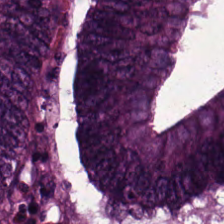0.5 µm/px; FFPE tissue section; hematoxylin and eosin. The tissue here is colorectal adenocarcinoma epithelium.
